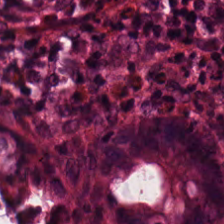The tissue is normal colon mucosa.
